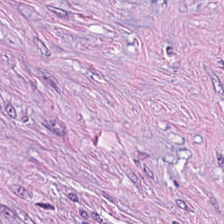H&E-stained tissue section.
Finding — tumor stroma.
